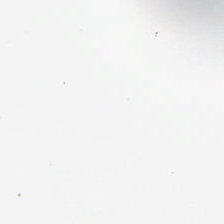Stain: H&E.
Classification: empty background.
